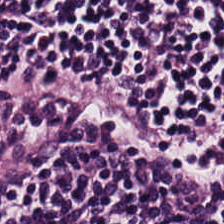0.5 µm/px. Hematoxylin-and-eosin stained section. This patch shows lymphocytic infiltrate.
